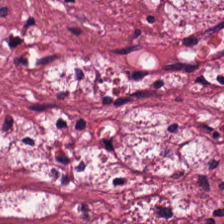0.5 µm/px. Hematoxylin-and-eosin stained section. Tumor stroma.
